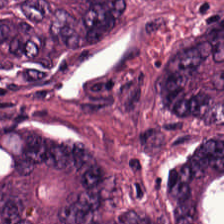Predominantly colorectal adenocarcinoma.
